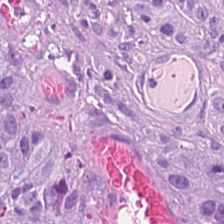This field is tumor epithelium.
